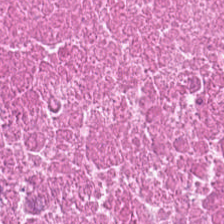Stain: hematoxylin-and-eosin stained section.
Tissue class: debris.
